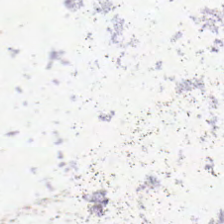H&E; 0.5 microns per pixel.
Q: What is shown in this field?
A: The field shows empty background.
